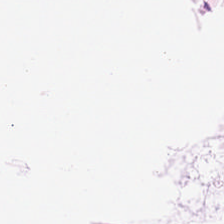Tissue: adipocytes.
